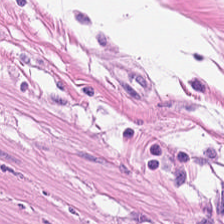H&E. Q: What is the predominant tissue type?
A: This is smooth-muscle tissue.
